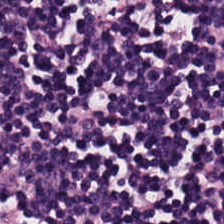H&E stain.
The tissue type is lymphocytic infiltrate.
